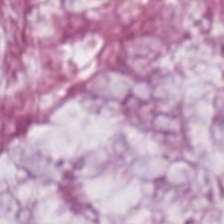Histology → mucus.
